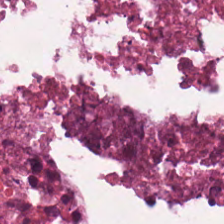Brightfield microscopy · H&E.
Q: Classify this patch.
A: The field shows cellular debris.
